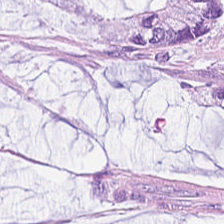Finding → mucin.
